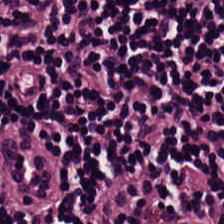Hematoxylin-and-eosin stained section.
Predominant tissue: lymphocytic infiltrate.
